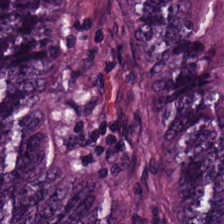FFPE tissue section · H&E · brightfield.
Tumor epithelium.
